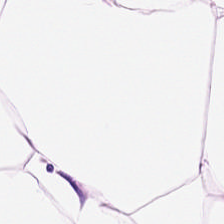H&E stain; 224×224 px patch.
Adipose tissue.
